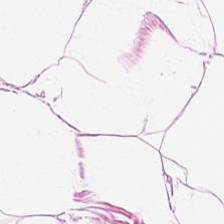This field is adipose.
